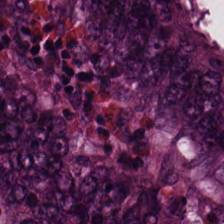Formalin-fixed paraffin-embedded section; hematoxylin-and-eosin stained section; 0.5 µm per pixel.
Classification: tumor epithelium.
